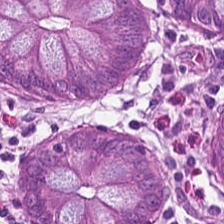Hematoxylin and eosin · 0.5 microns per pixel · brightfield — Tissue: normal colonic mucosa.
